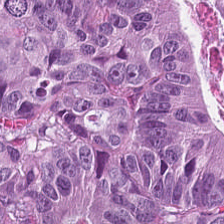Hematoxylin and eosin. The predominant tissue is colorectal adenocarcinoma epithelium.
